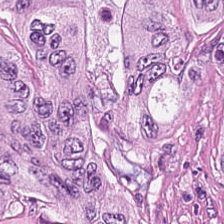Stain: H&E stain.
Resolution: 0.5 microns per pixel.
Tissue class: colorectal adenocarcinoma.
